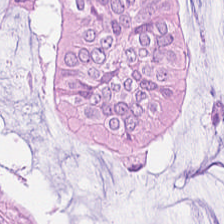20× equivalent magnification; H&E stain — Tissue type — adenocarcinoma.
